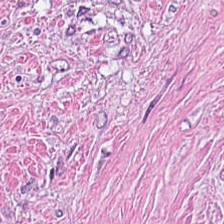H&E — Predominantly desmoplastic stroma.
